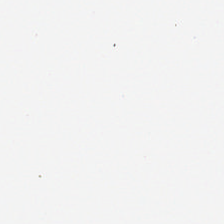The field content is background (no tissue).
